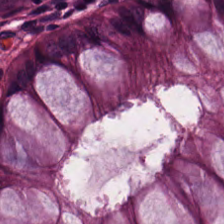H&E stain; FFPE tissue section. Q: What tissue type is shown here?
A: It is benign colonic mucosa.
